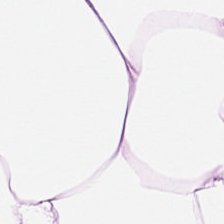H&E. Classification: adipose.
